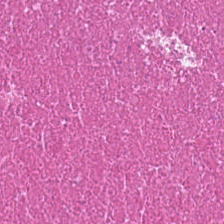Stain: H&E.
Predominant tissue: cellular debris.
